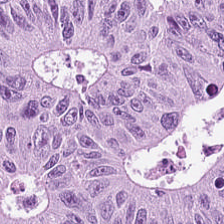Tissue — adenocarcinoma.
